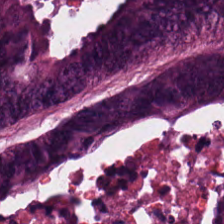Formalin-fixed paraffin-embedded section; H&E-stained tissue section; whole-slide-image patch — Tissue = malignant epithelium.
